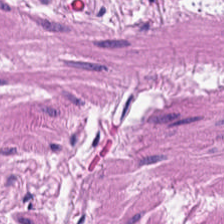Hematoxylin and eosin.
Predominant tissue = smooth muscle.
